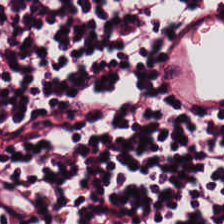H&E-stained tissue section · WSI patch · FFPE. This field is lymphoid infiltrate.
